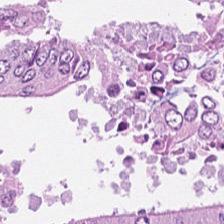Brightfield · 0.5 µm per pixel · hematoxylin-and-eosin stained section — The predominant tissue is colorectal adenocarcinoma.
